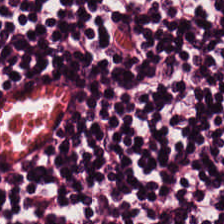H&E-stained tissue section. Predominant tissue: lymphoid infiltrate.
